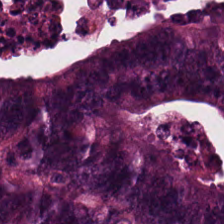224×224 px tile. Hematoxylin-and-eosin stained section. 0.5 microns per pixel — Q: What is shown in this field?
A: The field shows colorectal adenocarcinoma.
